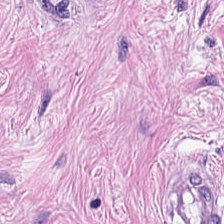H&E-stained tissue section; 224×224 px patch.
Finding — cancer-associated stroma.
